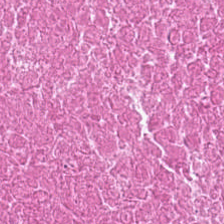H&E-stained tissue section. The predominant tissue is necrotic debris.
